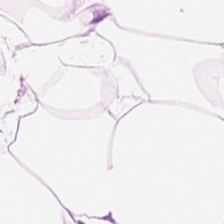224×224 px patch. Hematoxylin and eosin. This field is adipose tissue.
